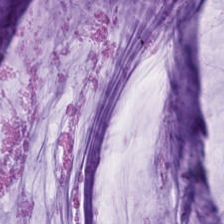Stain: hematoxylin and eosin.
Tissue type: mucin.
